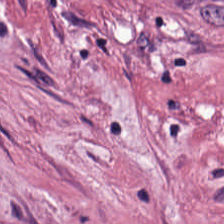Brightfield; H&E-stained tissue section; 224×224 pixel tile — Finding — tumor stroma.
